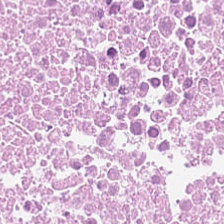Stain: H&E.
Classification: necrotic debris.
